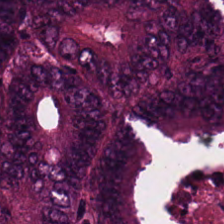FFPE; H&E stain; 224×224 px tile.
{"tissue_type": "colorectal adenocarcinoma epithelium"}
